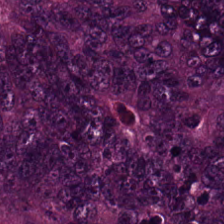H&E stain. Tissue = adenocarcinoma.
